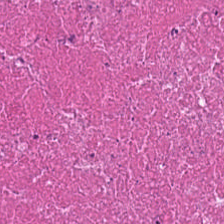Classification — necrotic debris.
